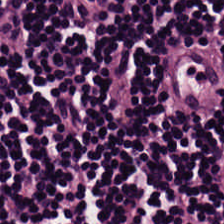Finding → lymphoid infiltrate.
